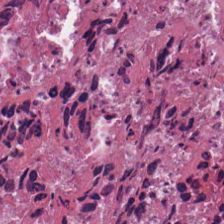Stain: hematoxylin and eosin.
Tissue: cellular debris.
